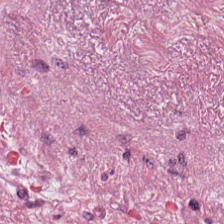Finding → cancer-associated stroma.
